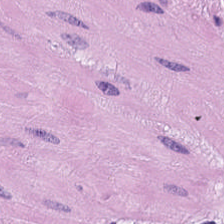Stain: hematoxylin-and-eosin stained section.
Predominant tissue: smooth muscle.
